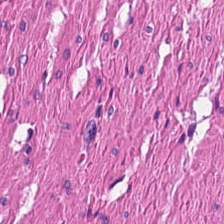Hematoxylin and eosin — This patch shows muscularis.
